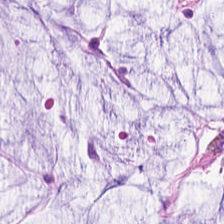224×224 px patch · hematoxylin and eosin.
Q: What is the predominant tissue type?
A: It is extracellular mucin.
